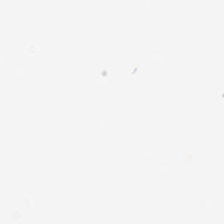The classification is no tissue.
